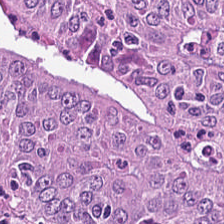Stain: H&E.
Acquisition: WSI patch.
Tissue: adenocarcinoma.
